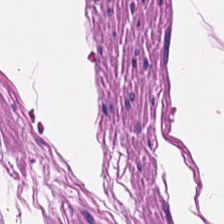Predominantly smooth muscle.
